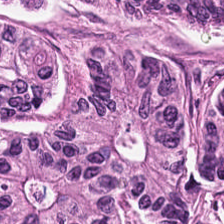Hematoxylin-and-eosin stained section; brightfield microscopy; 224×224 px patch — Predominantly malignant epithelium.
